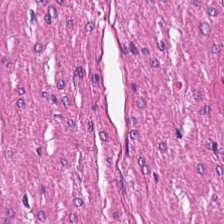Stain: H&E.
Resolution: 20× equivalent magnification.
Tile size: 224×224 px tile.
Tissue class: smooth-muscle tissue.
